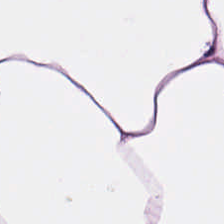FFPE. H&E. {"tissue_type": "adipose"}
